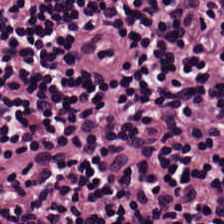Hematoxylin and eosin. 0.5 microns per pixel. Finding → lymphoid infiltrate.
